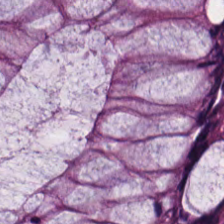Q: Classify this patch.
A: It is non-neoplastic colon mucosa.
